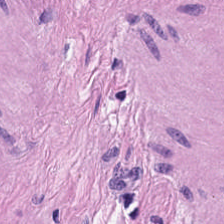H&E. Finding — muscularis.
